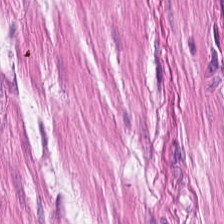Stain: H&E.
Tissue type: muscularis.
